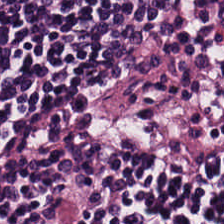H&E stain — Impression — lymphocyte aggregate.
